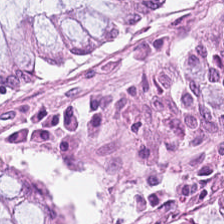The tissue here is normal colonic mucosa.
